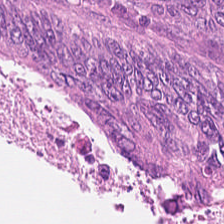224×224 pixel tile · H&E — The tissue here is adenocarcinoma.
